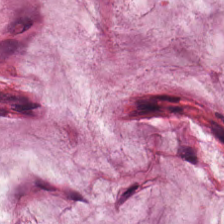Hematoxylin-and-eosin stained section.
Showing mucus.
